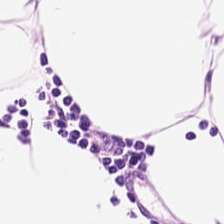H&E.
This patch shows adipose tissue.
